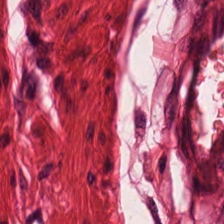Hematoxylin and eosin.
Showing smooth-muscle tissue.
